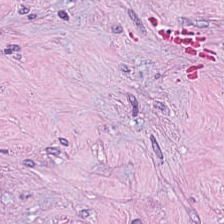H&E-stained tissue section. 0.5 microns per pixel.
Q: What is the predominant tissue type?
A: This is debris.
